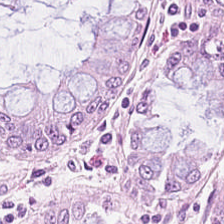Hematoxylin-and-eosin stained section.
Q: What tissue is shown?
A: It is benign colonic mucosa.
